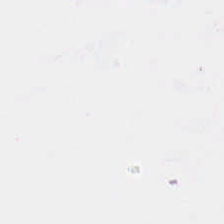Hematoxylin and eosin; FFPE tissue section — No tissue present; background only.
